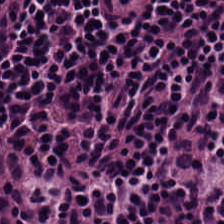Finding → lymphocyte aggregate.
